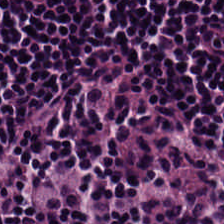H&E-stained tissue section; 224×224 px tile.
Showing lymphoid infiltrate.
